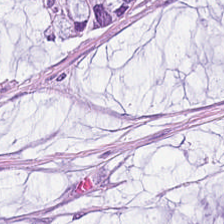H&E-stained tissue section — Showing mucin.
